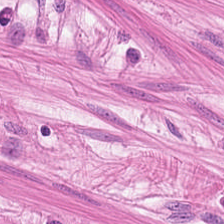224×224 px patch. FFPE. H&E.
Q: What does this patch show?
A: It is smooth muscle.
